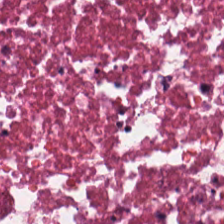H&E.
Tissue class: debris.
